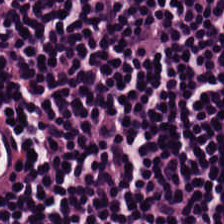Predominantly lymphocytic infiltrate.
